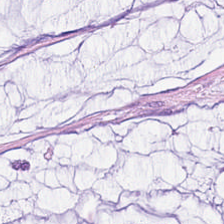Hematoxylin-and-eosin stained section. Impression → extracellular mucin.
